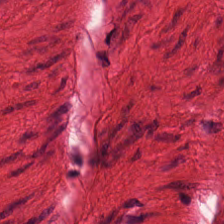H&E stain — Tissue: muscularis.
